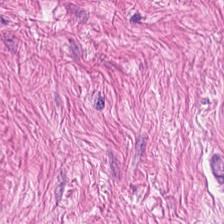WSI patch · hematoxylin and eosin — This field is muscularis.
